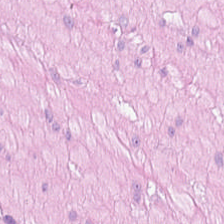Tissue class = smooth-muscle tissue.
